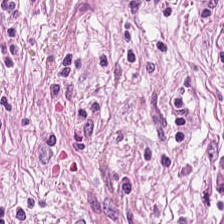Classification = cancer-associated stroma.
